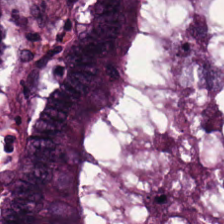H&E-stained tissue section — This patch shows malignant epithelium.
